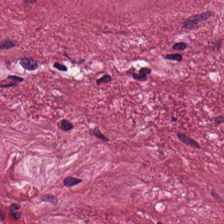Q: What tissue type is shown here?
A: The field shows tumor-associated stroma.
